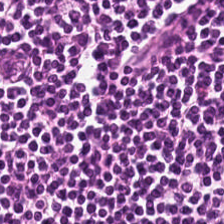224×224 px tile; H&E; 20× equivalent magnification. Q: What tissue type is shown here?
A: The field shows lymphocyte aggregate.
